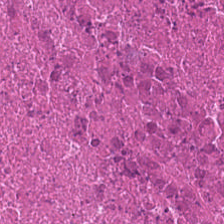Whole-slide-image patch; 224×224 px tile; H&E. Finding → necrotic debris.
